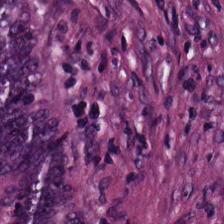Stain: H&E.
Tissue class: colorectal adenocarcinoma.
